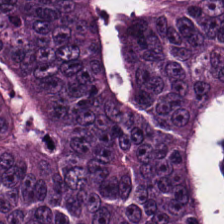H&E patch showing colorectal adenocarcinoma epithelium.
